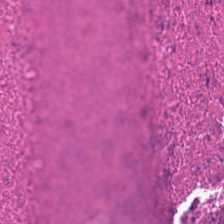H&E — Histology — necrotic debris.
